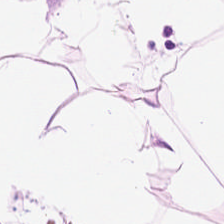H&E-stained tissue section. Q: What tissue type is shown here?
A: It is adipose tissue.
